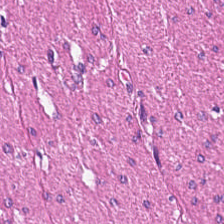0.5 µm/px. Formalin-fixed paraffin-embedded section. Hematoxylin-and-eosin stained section.
Predominantly smooth-muscle tissue.
